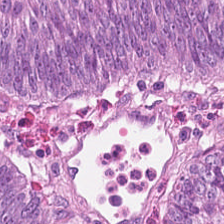H&E; 0.5 µm per pixel — Impression → tumor epithelium.
